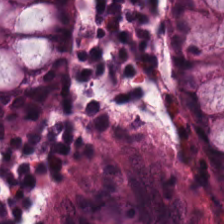H&E — non-neoplastic colon mucosa.
